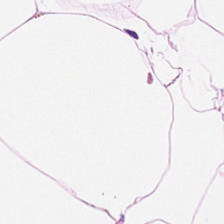Tissue type: adipose.
